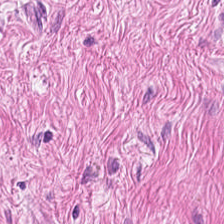FFPE · 20× equivalent magnification · H&E. Q: Identify the tissue.
A: It is smooth-muscle tissue.
